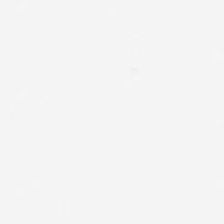H&E-stained tissue section; WSI patch; FFPE.
Field content: background (no tissue).
